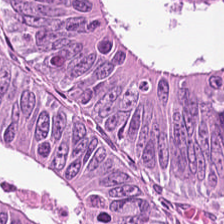WSI patch. Hematoxylin and eosin.
Q: What is the predominant tissue type?
A: It is malignant epithelium.
